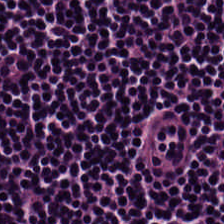H&E stain; brightfield microscopy.
The tissue type is lymphocytes.
